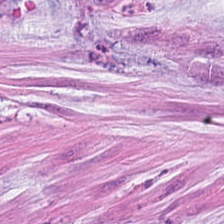Q: What is shown in this field?
A: It is mucin.
